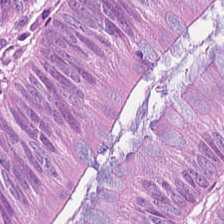H&E · WSI patch.
Q: What is the predominant tissue type?
A: This is colorectal adenocarcinoma epithelium.
